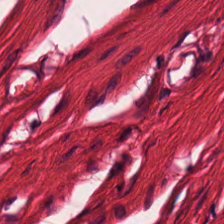Q: What is shown in this field?
A: The field shows muscularis.
